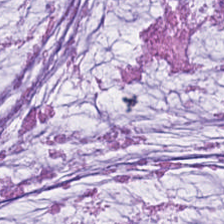Brightfield microscopy. 0.5 microns per pixel. H&E.
Q: What tissue type is shown here?
A: It is mucin.
